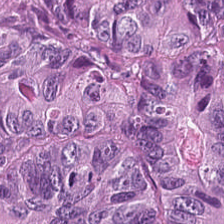Stain: hematoxylin-and-eosin stained section.
Tile size: 224×224 pixel tile.
Preparation: FFPE tissue section.
Tissue: tumor epithelium.
